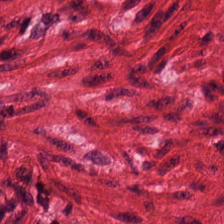H&E.
Showing muscularis.
